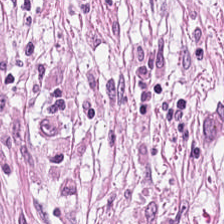Hematoxylin-and-eosin stained section — Cancer-associated stroma.
